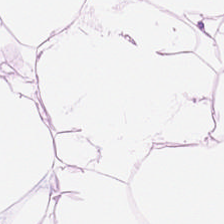H&E stain · FFPE tissue section. The tissue type is fat tissue.
